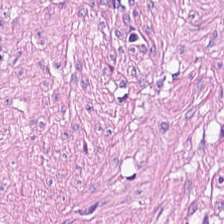Stain: hematoxylin and eosin.
Tile size: 224×224 pixel tile.
Predominant tissue: smooth-muscle tissue.
